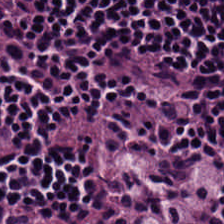224×224 px patch · brightfield microscopy · H&E-stained tissue section — Lymphocytes.
